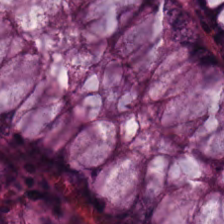H&E. The tissue here is non-neoplastic colon mucosa.
